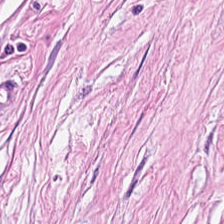0.5 microns per pixel · H&E-stained tissue section — Q: What is shown here?
A: The field shows tumor stroma.
